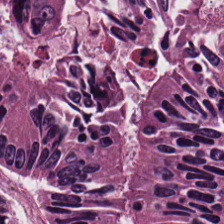H&E. {"tissue_type": "adenocarcinoma"}
